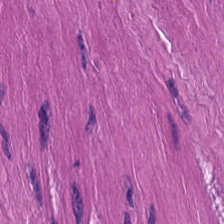Brightfield microscopy · hematoxylin and eosin — Tissue — smooth muscle.
